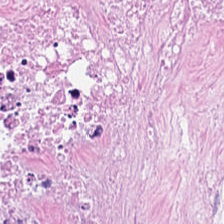Q: Identify the tissue.
A: It is necrotic debris.
